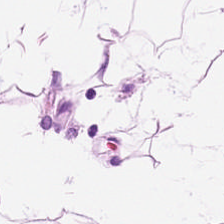The classification is adipose tissue.
